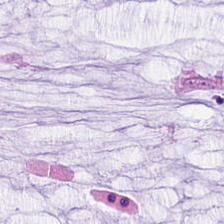Impression → mucus.
